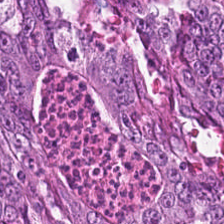Q: Identify the tissue.
A: This is tumor epithelium.
